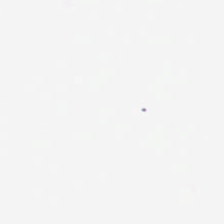H&E — Q: What is shown here?
A: It is background.
